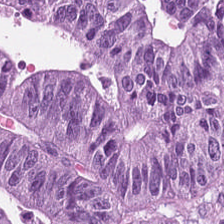H&E stain; formalin-fixed paraffin-embedded section.
This field is colorectal adenocarcinoma epithelium.
